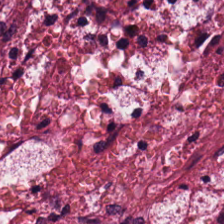Stain: hematoxylin-and-eosin stained section.
Predominant tissue: tumor stroma.
